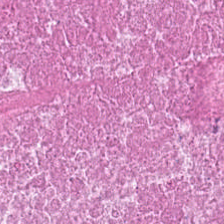WSI patch · H&E · 0.5 µm/px — Tissue — cellular debris.
